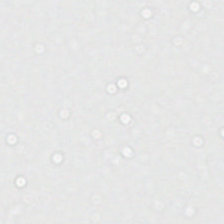H&E stain. Background — no tissue in this field.
